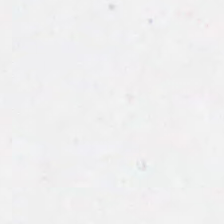Hematoxylin-and-eosin stained section. No tissue present; background only.
